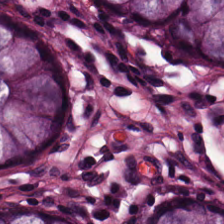This field is normal colon mucosa.
